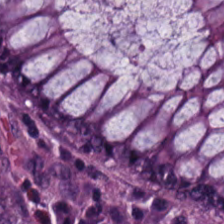0.5 microns per pixel. H&E. {"tissue_type": "normal colon mucosa"}
